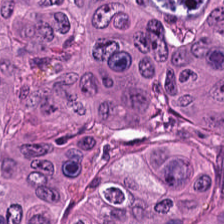Hematoxylin-and-eosin stained section — {"tissue_type": "colorectal adenocarcinoma"}
